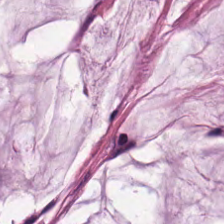H&E stain.
Showing extracellular mucin.
